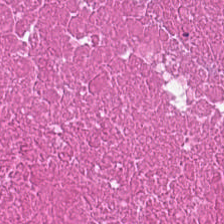Stain: H&E-stained tissue section.
Preparation: formalin-fixed paraffin-embedded section.
Tissue class: cellular debris.
